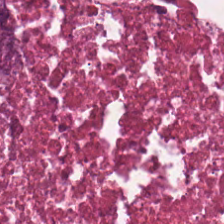H&E stain.
The tissue here is debris.
